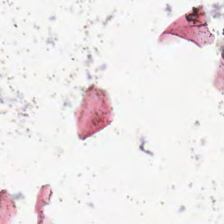H&E-stained tissue section. Whole-slide-image patch. This field is background (no tissue).
